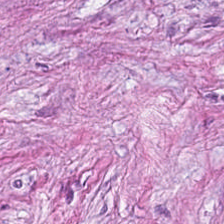Hematoxylin-and-eosin stained section. Histology → tumor stroma.
